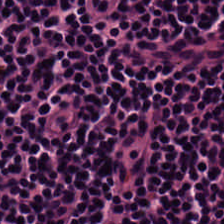H&E-stained tissue section — This patch shows lymphocytes.
